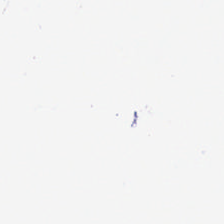Brightfield · H&E-stained tissue section.
No tissue present; background only.
